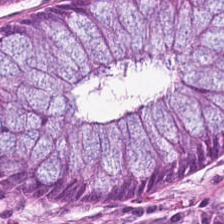The tissue here is normal colonic mucosa.
